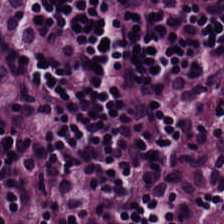Lymphocytes.
